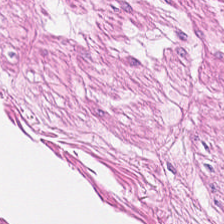H&E-stained tissue section · 224×224 px patch. The predominant tissue is smooth muscle.
